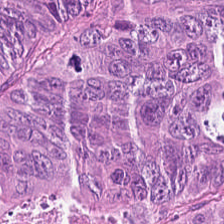H&E — malignant epithelium.
